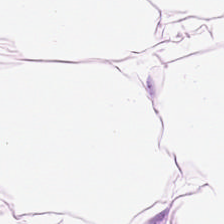Hematoxylin-and-eosin stained section. Tissue type: fat tissue.
